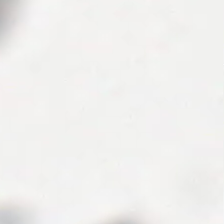Hematoxylin-and-eosin stained section. This patch shows no tissue.
